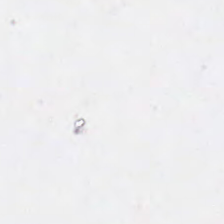Field content: empty background.
